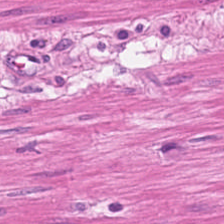H&E. Classification — muscularis.
